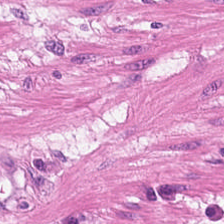Classification — smooth muscle.
